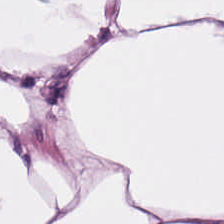H&E — Impression — adipocytes.
